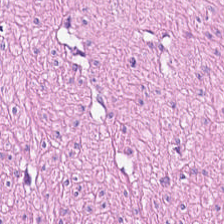H&E-stained section; the field shows smooth-muscle tissue.
